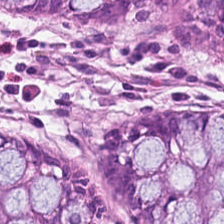Stain: hematoxylin-and-eosin stained section.
Tissue: normal colon mucosa.
